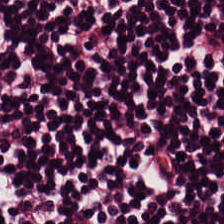Stain: hematoxylin and eosin.
Tile size: 224×224 px patch.
Acquisition: whole-slide-image patch.
Tissue: lymphocytes.
